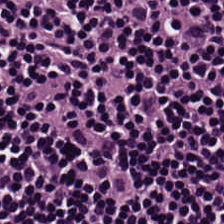Predominantly lymphocyte aggregate.
